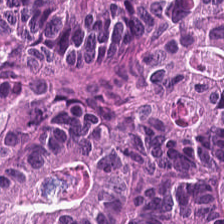224×224 pixel tile; hematoxylin-and-eosin stained section — Predominantly tumor epithelium.
